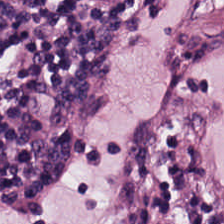H&E stain.
Tissue = lymphoid infiltrate.
